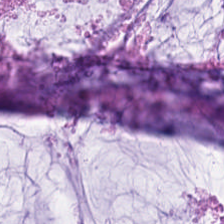H&E. 0.5 microns per pixel.
The tissue type is mucus.
